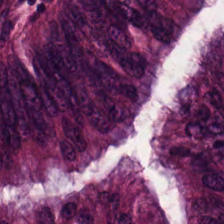Stain: H&E.
Predominant tissue: colorectal adenocarcinoma epithelium.
